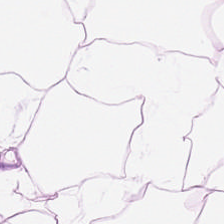H&E stain.
Q: Identify the tissue.
A: This is adipose.
